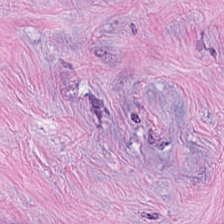224×224 px tile; hematoxylin and eosin — {"tissue_type": "tumor-associated stroma"}
